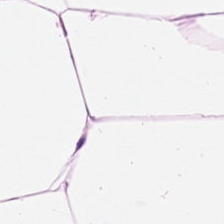Hematoxylin and eosin; whole-slide-image patch. Adipose tissue.
